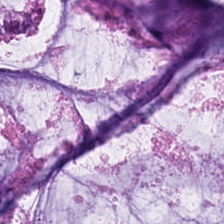This field is mucus.
